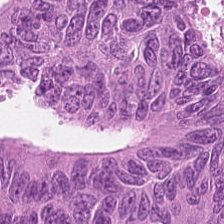224×224 px tile · 20× equivalent magnification · hematoxylin-and-eosin stained section.
Predominantly adenocarcinoma.
